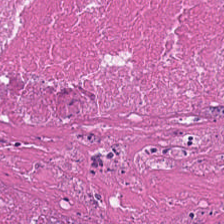The tissue type is necrotic debris.
